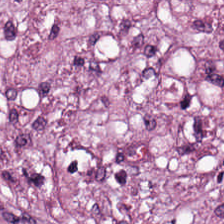The tissue here is tumor stroma.
